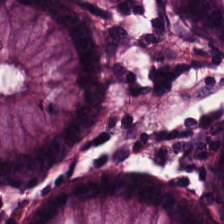Stain: H&E-stained tissue section.
Tissue class: normal colon mucosa.
